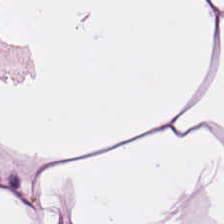H&E-stained tissue section.
Q: Classify this patch.
A: It is adipocytes.
